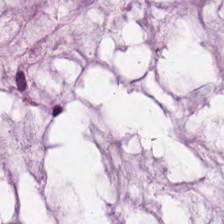Hematoxylin-and-eosin stained section. This patch shows mucus.
